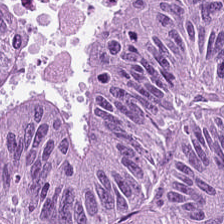Hematoxylin and eosin.
Predominant tissue = malignant epithelium.
